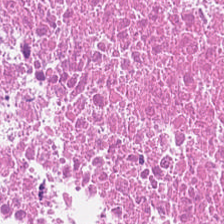Hematoxylin-and-eosin stained section. Tissue type: debris.
